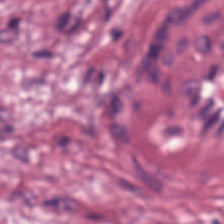{"tissue_type": "cancer-associated stroma"}
